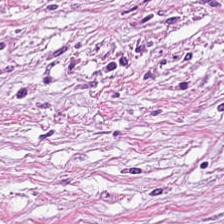Tissue class = cancer-associated stroma.
